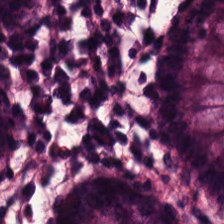The tissue here is benign colonic mucosa.
